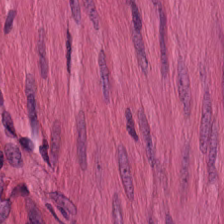Hematoxylin-and-eosin stained section.
Showing smooth-muscle tissue.
